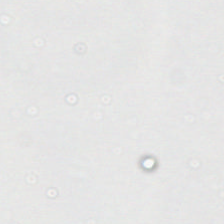H&E. The content is background.
